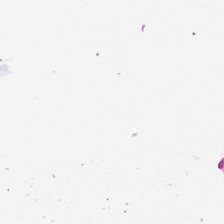H&E stain.
Background (no tissue).
